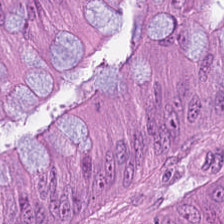This patch shows colorectal adenocarcinoma.
